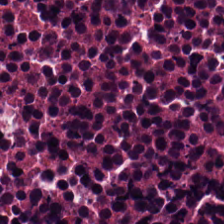H&E — cellular debris.
